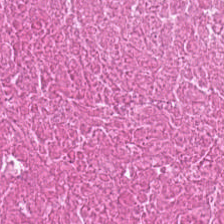Histology — necrotic debris.
